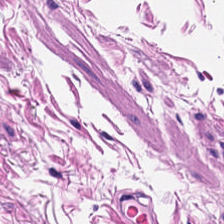H&E stain.
Predominant tissue = smooth muscle.
